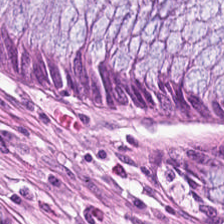H&E-stained tissue section. 224×224 px patch.
Normal colon mucosa.
